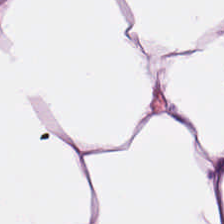Stain: hematoxylin and eosin.
Classification: adipocytes.
